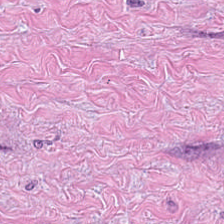H&E. Classification: tumor stroma.
